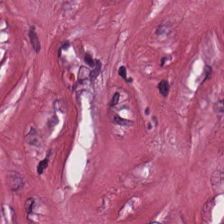H&E-stained tissue section — The predominant tissue is cancer-associated stroma.
